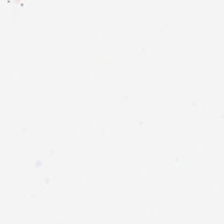Hematoxylin-and-eosin stained section.
Q: What is shown here?
A: It is background (no tissue).
